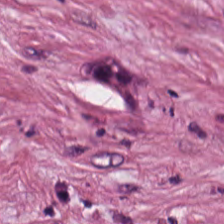224×224 px tile. Hematoxylin and eosin. 0.5 microns per pixel.
This field is tumor stroma.
